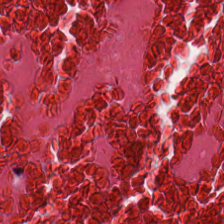H&E. Brightfield. FFPE. Q: What tissue is shown?
A: The field shows cellular debris.
